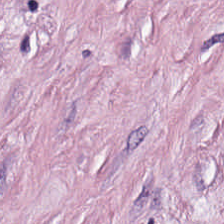{"tissue_type": "tumor stroma"}
